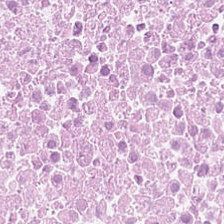H&E stain · 0.5 µm per pixel — This patch shows debris.
